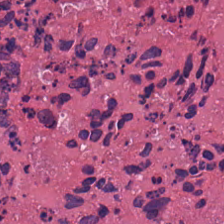224×224 px tile; 0.5 microns per pixel; H&E-stained tissue section. Necrotic debris.
